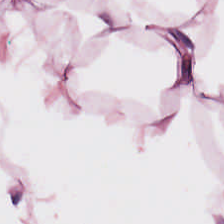H&E.
This patch shows adipose.
